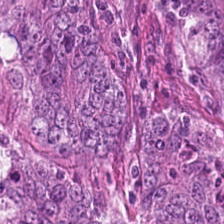H&E stain. The tissue type is adenocarcinoma.
